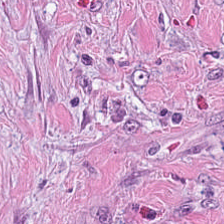H&E patch showing desmoplastic stroma.
